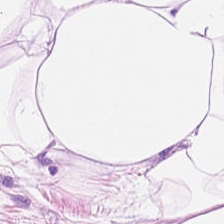H&E. Histology — adipocytes.
